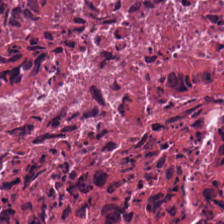H&E stain.
The tissue type is debris.
